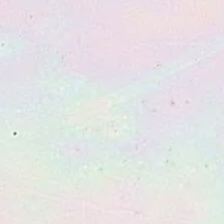H&E stain. Q: What does this patch show?
A: Background (no tissue).
